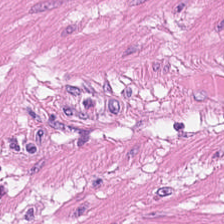Predominant tissue = smooth-muscle tissue.
